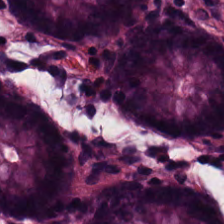Finding — normal colon mucosa.
